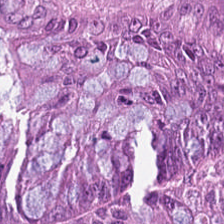H&E. 0.5 µm/px. WSI patch. Q: What is the predominant tissue type?
A: The field shows adenocarcinoma.
